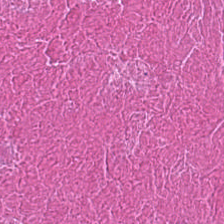H&E stain. 20× equivalent magnification — Q: What is shown here?
A: The field shows necrotic debris.
